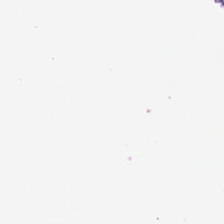H&E.
No tissue present; background only.
